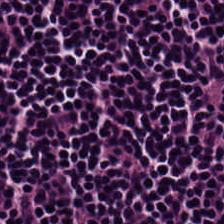224×224 px patch; H&E stain; brightfield microscopy.
Predominantly lymphocyte aggregate.
